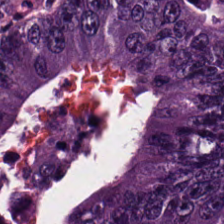Impression → colorectal adenocarcinoma epithelium.
